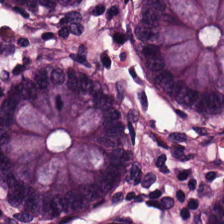20× equivalent magnification. Hematoxylin-and-eosin stained section. WSI patch.
Q: Identify the tissue.
A: It is normal colonic mucosa.
